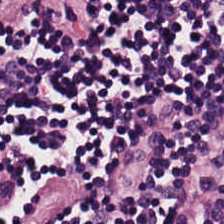224×224 px patch. H&E. Brightfield. This field is lymphocytic infiltrate.
